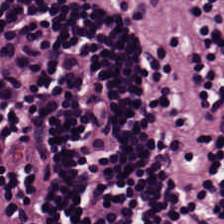0.5 µm per pixel; 224×224 pixel tile; hematoxylin-and-eosin stained section — Impression → lymphocyte aggregate.
